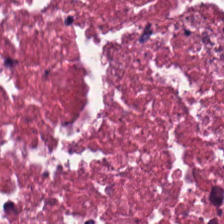The tissue here is debris.
